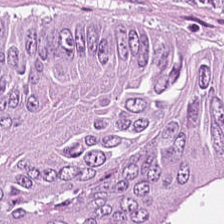Stain: H&E stain.
Tile size: 224×224 px patch.
Acquisition: brightfield microscopy.
Classification: tumor epithelium.
